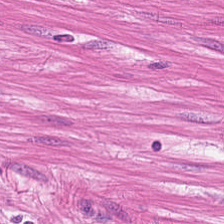Brightfield microscopy. H&E.
Showing smooth-muscle tissue.
